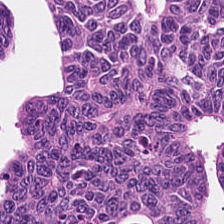224×224 px patch · FFPE · hematoxylin and eosin — Q: What tissue type is shown here?
A: The field shows malignant epithelium.
